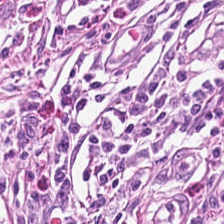Hematoxylin-and-eosin stained section.
The tissue here is tumor stroma.
